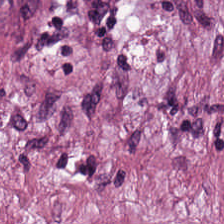Hematoxylin-and-eosin stained section.
This field is tumor stroma.
